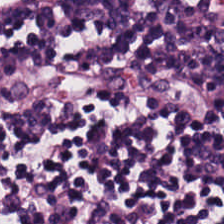Stain: hematoxylin and eosin.
Tissue type: lymphocyte aggregate.
